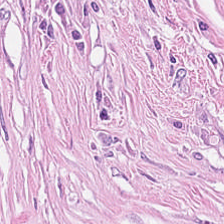Brightfield · 224×224 pixel tile · H&E — {"tissue_type": "desmoplastic stroma"}
